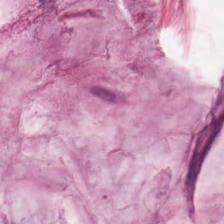20× equivalent magnification · 224×224 px patch · H&E-stained tissue section — Classification — mucin.
